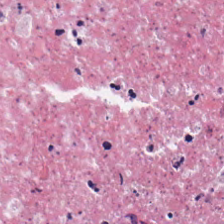Whole-slide-image patch; H&E stain — The predominant tissue is debris.
